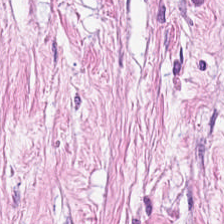Whole-slide-image patch. H&E. The tissue here is desmoplastic stroma.
